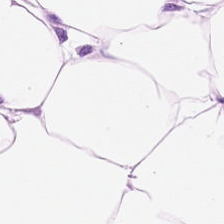H&E stain. Whole-slide-image patch — Predominant tissue = adipocytes.
